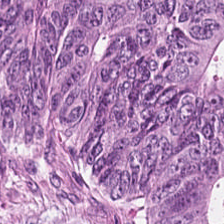Hematoxylin-and-eosin stained section.
Q: What is shown in this field?
A: Adenocarcinoma.
